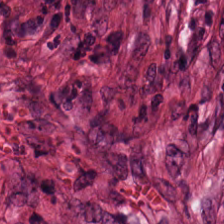Hematoxylin and eosin — The predominant tissue is cancer-associated stroma.
